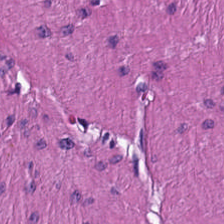224×224 pixel tile; whole-slide-image patch; H&E stain.
Smooth muscle.
